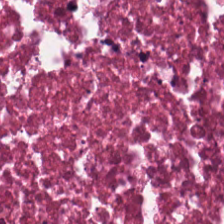H&E stain; 0.5 microns per pixel; 224×224 px tile.
This patch shows necrotic debris.
